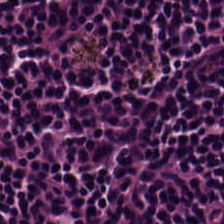H&E; FFPE.
{"tissue_type": "lymphoid infiltrate"}
